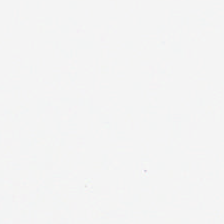H&E. WSI patch — Q: What is shown in this field?
A: It is empty background.
